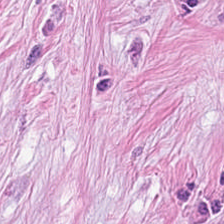Stain: H&E-stained tissue section.
Classification: tumor stroma.
